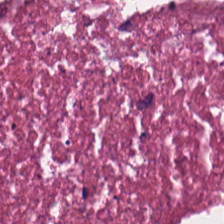FFPE. H&E stain. Predominantly cellular debris.
